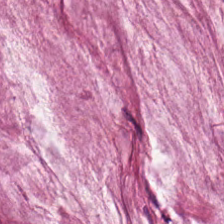H&E-stained tissue section.
Tissue — extracellular mucin.
